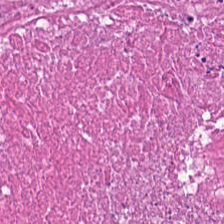H&E stain. Q: Identify the tissue.
A: Cellular debris.
